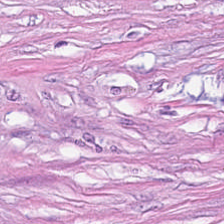FFPE tissue section; 0.5 microns per pixel; H&E. Q: What tissue type is shown here?
A: It is tumor-associated stroma.
